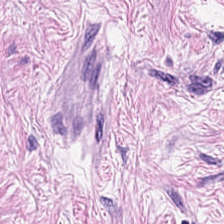H&E. 224×224 px patch. This patch shows tumor stroma.
